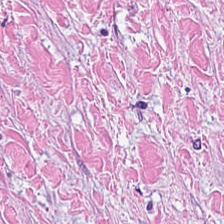Formalin-fixed paraffin-embedded section. Hematoxylin and eosin. This patch shows desmoplastic stroma.
